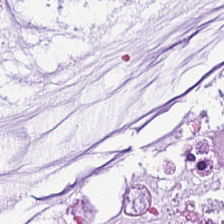Histology — extracellular mucin.
